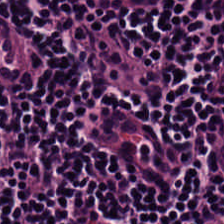H&E-stained tissue section. Predominantly lymphocytic infiltrate.
